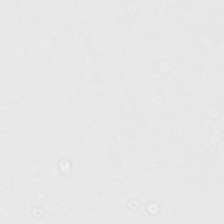Stain: H&E-stained tissue section.
Tile size: 224×224 px patch.
Content: background.
